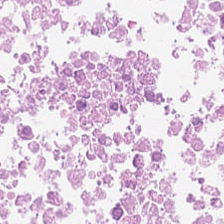224×224 pixel tile · H&E stain — The tissue here is debris.
